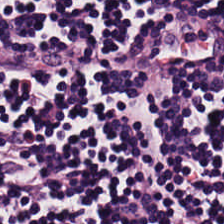Whole-slide-image patch · hematoxylin and eosin · formalin-fixed paraffin-embedded section. Q: What is shown here?
A: Lymphocytic infiltrate.
